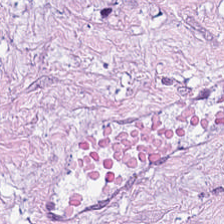Histology → cancer-associated stroma.
